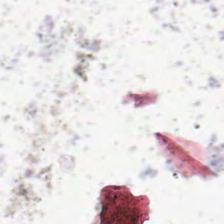{"content": "empty background"}
